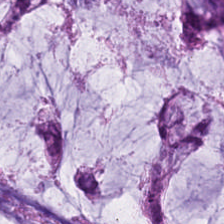0.5 µm/px; hematoxylin and eosin. The predominant tissue is extracellular mucin.
